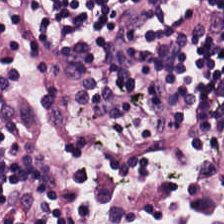H&E-stained tissue section. FFPE.
Q: What does this patch show?
A: It is lymphocytes.
